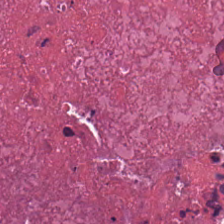H&E · brightfield microscopy.
Q: What is shown in this field?
A: The field shows cellular debris.
